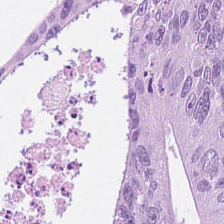H&E. {"tissue_type": "adenocarcinoma"}
